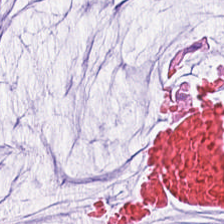Q: What tissue is shown?
A: This is extracellular mucin.
